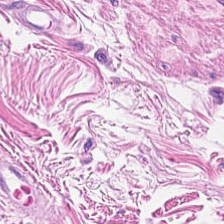Stain: H&E stain.
Acquisition: whole-slide-image patch.
Resolution: 20× equivalent magnification.
Tissue type: smooth-muscle tissue.
